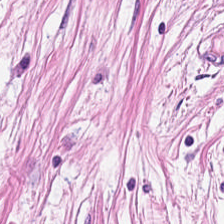Stain: H&E.
Classification: desmoplastic stroma.
